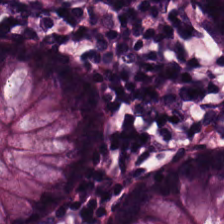Stain: H&E stain.
Tissue type: normal colonic mucosa.
